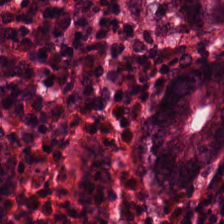H&E-stained tissue section.
Normal colonic mucosa.
